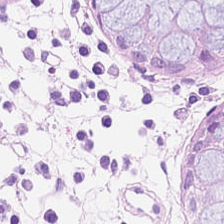224×224 px tile · H&E — {"tissue_type": "benign colonic mucosa"}
